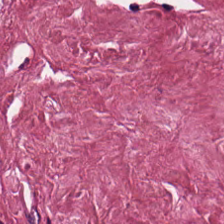0.5 µm per pixel; H&E. Desmoplastic stroma.
